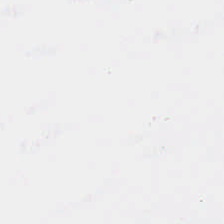Hematoxylin and eosin. FFPE tissue section. 224×224 px tile — Q: Classify this patch.
A: It is background.
